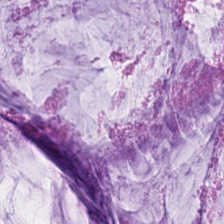H&E stain — Histology → extracellular mucin.
